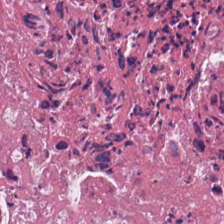H&E stain — The predominant tissue is necrotic debris.
